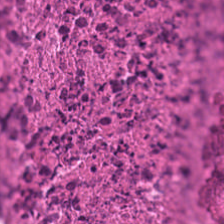Hematoxylin-and-eosin stained section. Formalin-fixed paraffin-embedded section.
Predominantly debris.
